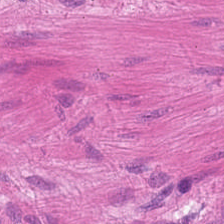Hematoxylin and eosin.
Predominantly smooth-muscle tissue.
